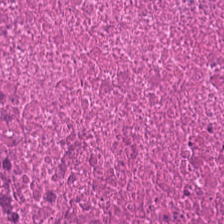Stain: H&E-stained tissue section.
Tile size: 224×224 pixel tile.
Resolution: 0.5 microns per pixel.
Tissue type: cellular debris.
